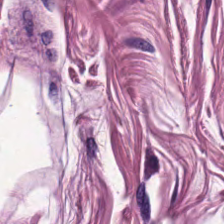H&E-stained tissue section · brightfield · 224×224 px tile — Showing smooth-muscle tissue.
